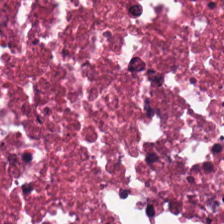Stain: H&E stain.
Tissue class: debris.
